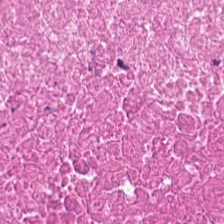Histology — necrotic debris.
